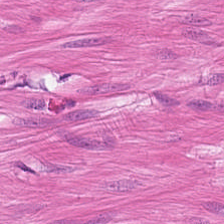Hematoxylin-and-eosin stained section · FFPE tissue section — Q: Identify the tissue.
A: It is smooth muscle.
